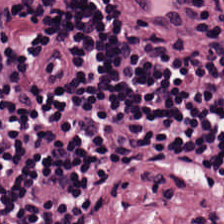Tissue type = lymphocytic infiltrate.
